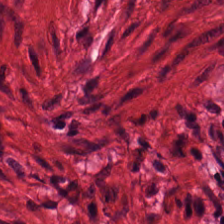Stain: hematoxylin and eosin.
Predominant tissue: muscularis.
